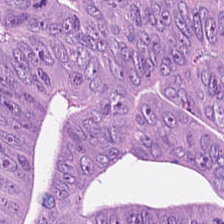H&E-stained tissue section. Showing colorectal adenocarcinoma.
